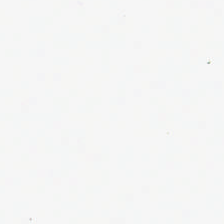The field content is empty background.
